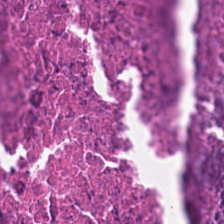Impression — necrotic debris.
